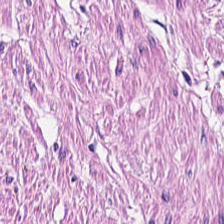Stain: H&E.
Predominant tissue: smooth muscle.
